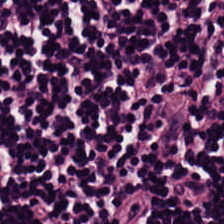H&E-stained tissue section.
This field is lymphocytes.
